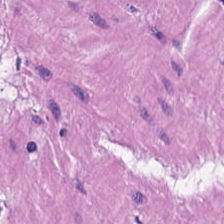Hematoxylin-and-eosin stained section · brightfield microscopy. Q: Classify this patch.
A: The field shows muscularis.
